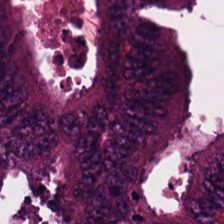Histology → malignant epithelium.
